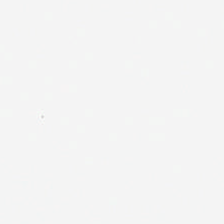Hematoxylin-and-eosin stained section.
{"content": "empty background"}
